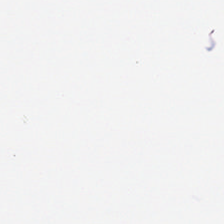H&E stain — Classification = no tissue.
